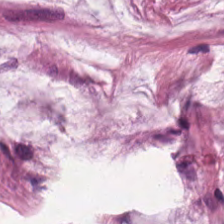Hematoxylin-and-eosin section: extracellular mucin.
